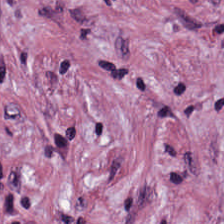The tissue here is desmoplastic stroma.
